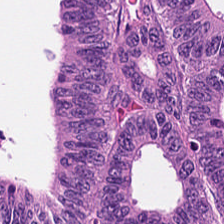0.5 µm per pixel. Hematoxylin-and-eosin stained section. FFPE tissue section — Tissue type — malignant epithelium.
